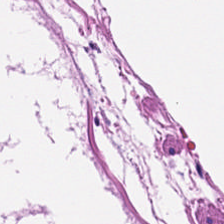H&E.
This patch shows smooth muscle.
